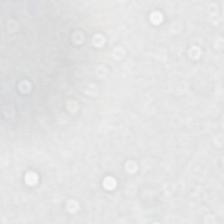H&E stain.
{"content": "empty background"}
